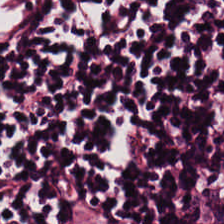Stain: hematoxylin-and-eosin stained section.
Classification: lymphocytic infiltrate.
